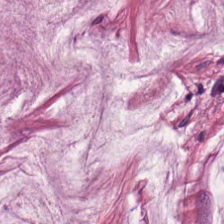Brightfield microscopy; hematoxylin-and-eosin stained section.
Predominantly extracellular mucin.
